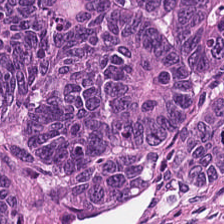H&E-stained tissue section — The predominant tissue is tumor epithelium.
